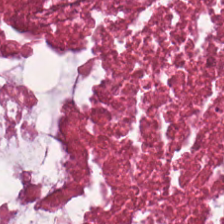H&E · 224×224 px tile.
Classification — debris.
